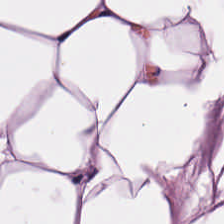Hematoxylin and eosin; FFPE; 224×224 pixel tile — Showing adipocytes.
